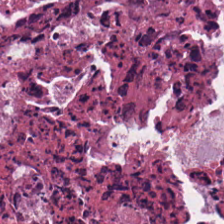H&E — The tissue class is cellular debris.
